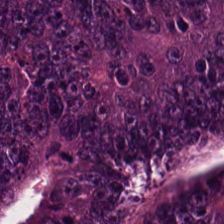224×224 px tile. Hematoxylin and eosin. The tissue class is malignant epithelium.
